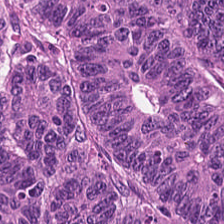Predominant tissue = adenocarcinoma.
